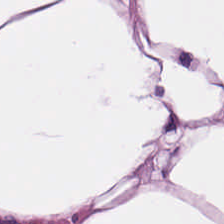FFPE; hematoxylin and eosin. Tissue class — adipose.
